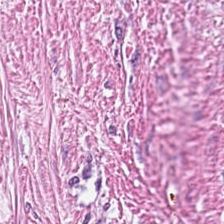0.5 µm/px; H&E.
The tissue here is tumor-associated stroma.
